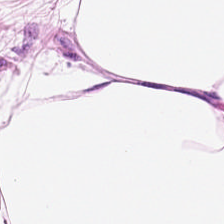Hematoxylin-and-eosin stained section — Predominantly adipocytes.
